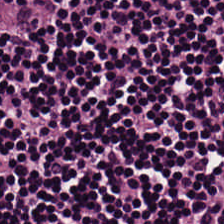Hematoxylin and eosin — {"tissue_type": "lymphocytes"}
